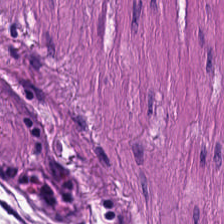0.5 µm/px; H&E-stained tissue section.
{"tissue_type": "smooth muscle"}
